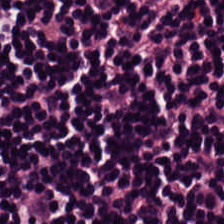WSI patch · 224×224 pixel tile · hematoxylin and eosin. Impression → lymphoid infiltrate.
